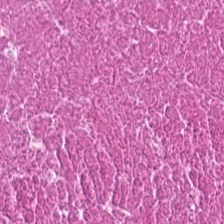Hematoxylin-and-eosin section: necrotic debris.
